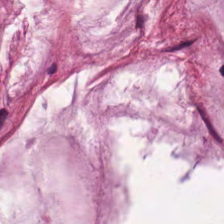H&E — Tissue type = mucus.
